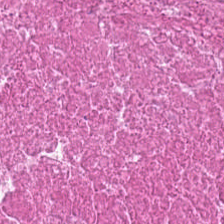H&E stain.
Impression → necrotic debris.
